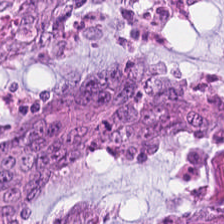Formalin-fixed paraffin-embedded section · 0.5 µm/px · H&E.
The predominant tissue is colorectal adenocarcinoma.
